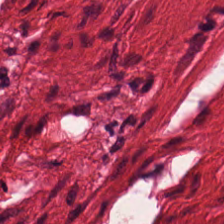H&E-stained tissue section.
Q: What is shown here?
A: Smooth muscle.
